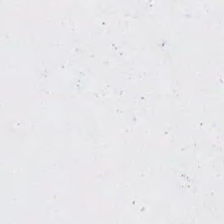H&E — Q: What is shown in this field?
A: The field shows background (no tissue).
